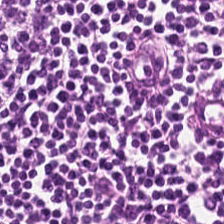The predominant tissue is lymphocyte aggregate.
